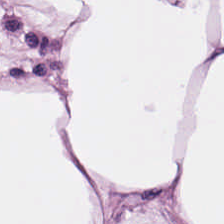Stain: H&E stain.
Acquisition: WSI patch.
Tissue: adipocytes.
